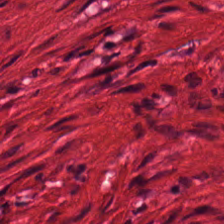Stain: H&E-stained tissue section.
Tissue: smooth-muscle tissue.
